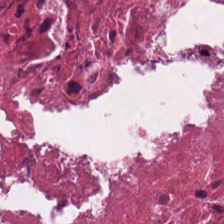Predominantly debris.
